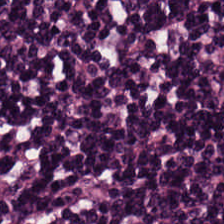Stain: H&E.
Tissue class: lymphoid infiltrate.
